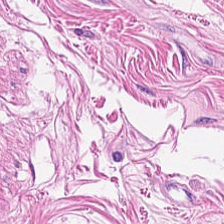Stain: H&E.
Acquisition: WSI patch.
Tissue: smooth muscle.
